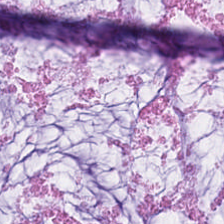Hematoxylin and eosin · 0.5 µm/px · formalin-fixed paraffin-embedded section — Q: Classify this patch.
A: It is mucin.
